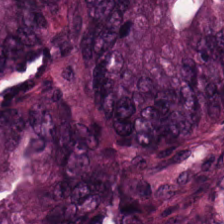Stain: H&E stain.
Tissue: malignant epithelium.
